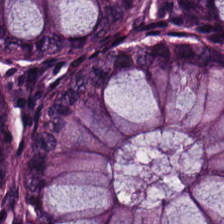H&E. Tissue: normal colon mucosa.
